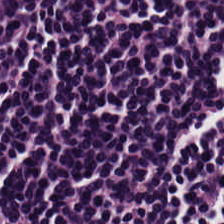H&E-stained tissue section. Predominantly lymphocytes.
